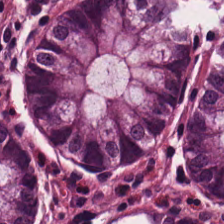The predominant tissue is benign colonic mucosa.
